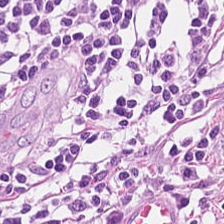Hematoxylin-and-eosin stained section; 0.5 µm/px — The predominant tissue is lymphocyte aggregate.
